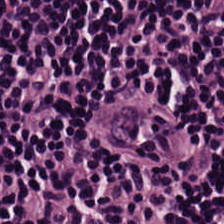H&E-stained tissue section showing lymphocytic infiltrate.
